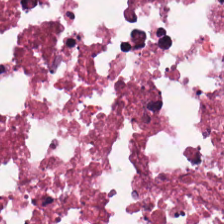Hematoxylin and eosin. Q: What is shown in this field?
A: This is cellular debris.
